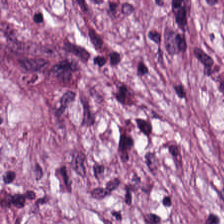Q: What tissue is shown?
A: It is desmoplastic stroma.
